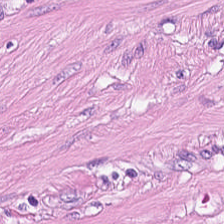WSI patch · hematoxylin and eosin. Smooth muscle.
